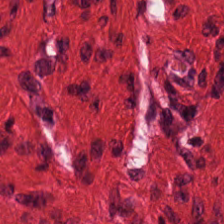H&E-stained tissue section.
This patch shows muscularis.
